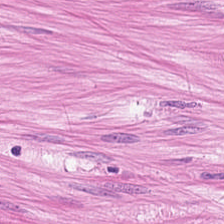H&E-stained tissue section — Histology → smooth muscle.
